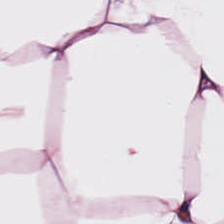H&E-stained tissue section — Q: What tissue is shown?
A: The field shows adipose tissue.
